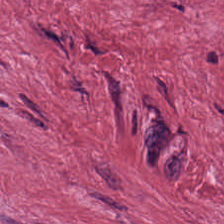Histology → cancer-associated stroma.
